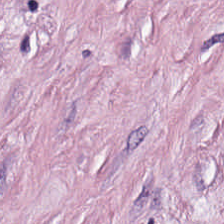WSI patch; 224×224 px patch; H&E stain. Tissue type: cancer-associated stroma.
